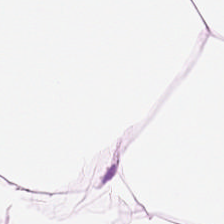Classification — adipose.
